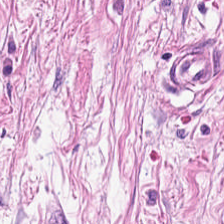FFPE tissue section · hematoxylin and eosin · 224×224 px patch.
{"tissue_type": "cancer-associated stroma"}
